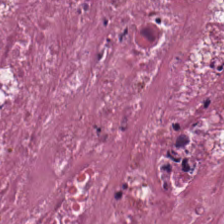H&E.
Predominantly cellular debris.
